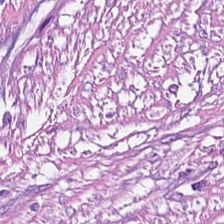H&E — Histology — cancer-associated stroma.
